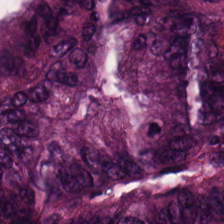H&E.
Tissue type: tumor epithelium.
